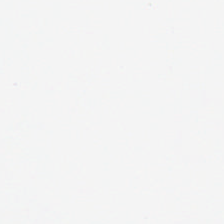Formalin-fixed paraffin-embedded section; hematoxylin-and-eosin stained section — Background — no tissue in this field.
